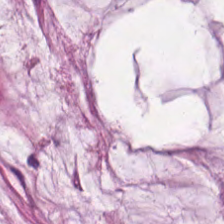Tissue type = mucin.
